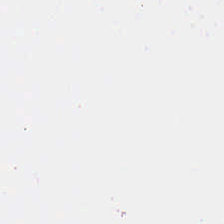H&E-stained tissue section.
No tissue present; background only.
